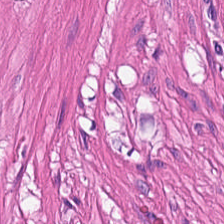Tissue type — smooth-muscle tissue.
